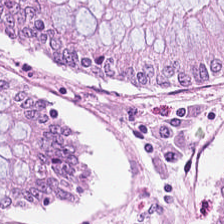H&E. 224×224 px tile. Histology → normal colon mucosa.
